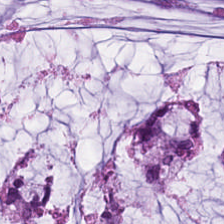Whole-slide-image patch; hematoxylin and eosin.
Predominant tissue = extracellular mucin.
